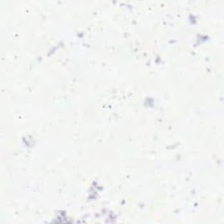Q: Classify this patch.
A: The field shows background (no tissue).
